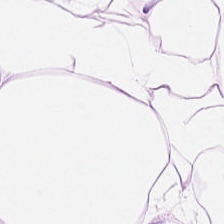H&E-stained tissue section; 224×224 px patch. Predominantly fat tissue.
